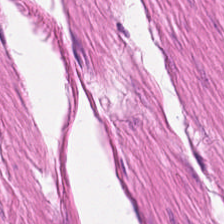Stain: hematoxylin-and-eosin stained section.
Tile size: 224×224 px tile.
Preparation: formalin-fixed paraffin-embedded section.
Tissue type: smooth-muscle tissue.
